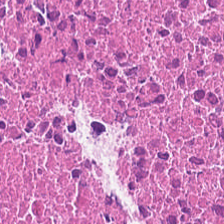224×224 px patch · hematoxylin and eosin. This field is necrotic debris.
